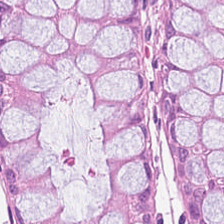224×224 px patch · H&E-stained tissue section — Showing normal colonic mucosa.
